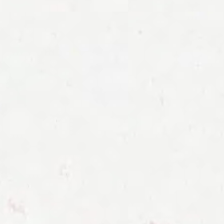The content is background (no tissue).
